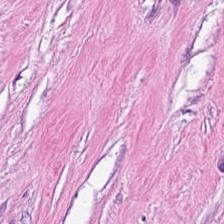FFPE tissue section; H&E. Predominantly tumor-associated stroma.
